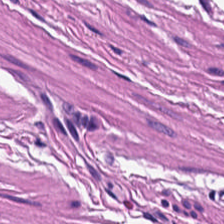Hematoxylin and eosin; whole-slide-image patch. Smooth muscle.
